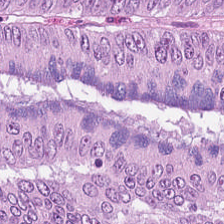Hematoxylin and eosin. Histology — colorectal adenocarcinoma epithelium.
